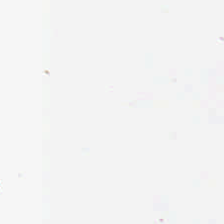Background — no tissue in this field.
